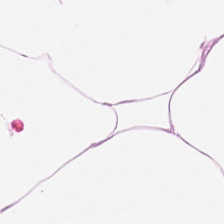This field is fat tissue.
